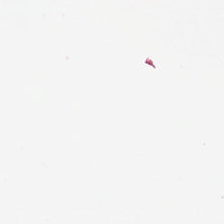Q: What does this patch show?
A: The field shows empty background.
